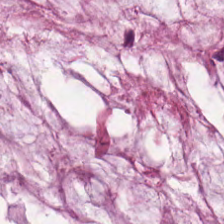224×224 pixel tile. H&E. 20× equivalent magnification.
Q: What is the predominant tissue type?
A: It is mucus.
